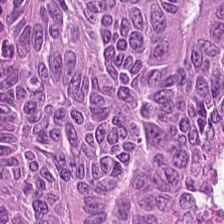H&E; formalin-fixed paraffin-embedded section — Predominant tissue = adenocarcinoma.
